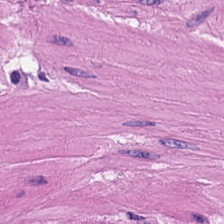Histology → smooth muscle.
